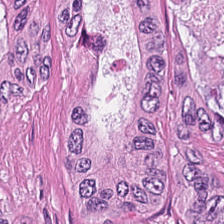224×224 pixel tile; hematoxylin-and-eosin stained section — Predominant tissue — tumor epithelium.
